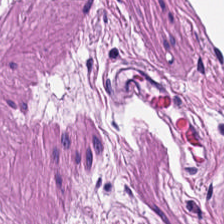Hematoxylin-and-eosin stained section — Predominant tissue = smooth-muscle tissue.
